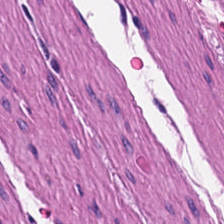H&E stain — This field is muscularis.
